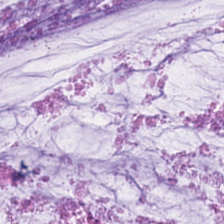Hematoxylin and eosin. The predominant tissue is mucus.
